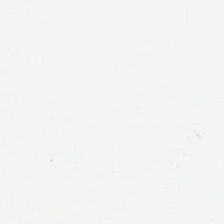H&E stain; brightfield; FFPE. The field content is background (no tissue).
